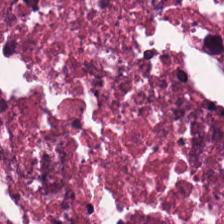{"tissue_type": "cellular debris"}
